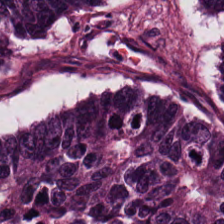Histology → adenocarcinoma.
